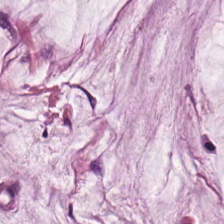20× equivalent magnification · hematoxylin and eosin — Showing extracellular mucin.
